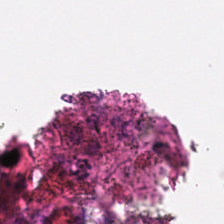Brightfield microscopy · H&E stain. Empty field — empty background.
